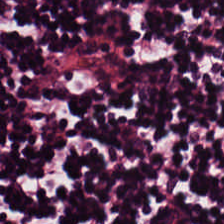Hematoxylin and eosin — Tissue class: lymphocytes.
